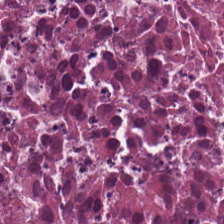Q: Classify this patch.
A: This is debris.
